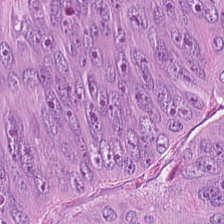Stain: H&E.
Preparation: formalin-fixed paraffin-embedded section.
Tissue class: colorectal adenocarcinoma epithelium.
